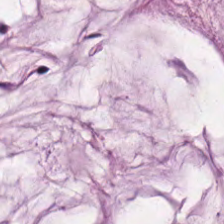H&E stain. This patch shows mucin.
